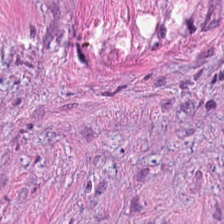20× equivalent magnification. H&E stain. Showing cancer-associated stroma.
